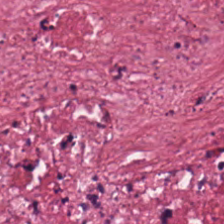0.5 µm/px. H&E-stained tissue section — Impression — tumor stroma.
